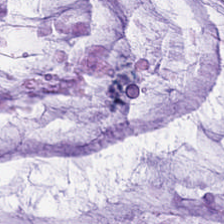Q: What type of tissue is this?
A: Mucus.
